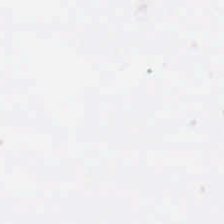Field content: background (no tissue).
